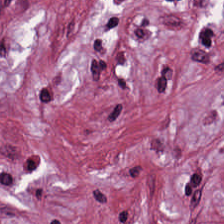H&E-stained tissue section. FFPE tissue section. Q: Identify the tissue.
A: Tumor stroma.
